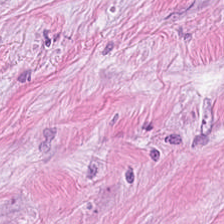Hematoxylin-and-eosin stained section; brightfield microscopy.
Q: What is shown in this field?
A: The field shows desmoplastic stroma.
